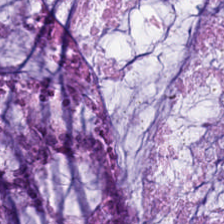Stain: H&E.
Predominant tissue: mucus.
